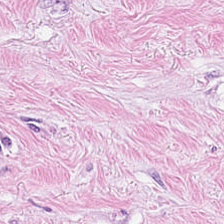Stain: H&E.
Resolution: 20× equivalent magnification.
Classification: tumor-associated stroma.
